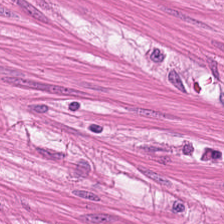Stain: hematoxylin and eosin.
Tissue: muscularis.
